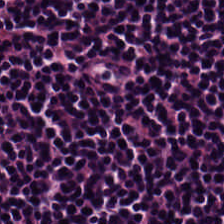H&E.
Q: Identify the tissue.
A: It is lymphocytic infiltrate.
